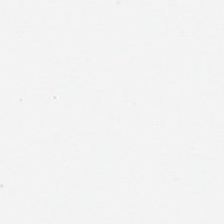H&E stain · brightfield microscopy. Classification = background (no tissue).
